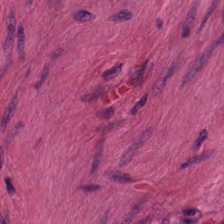224×224 px tile · H&E-stained tissue section.
Muscularis.
